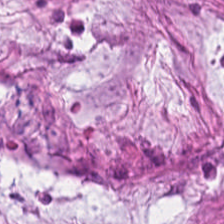Tissue: tumor stroma.
